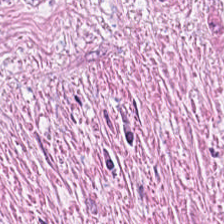The predominant tissue is tumor-associated stroma.
